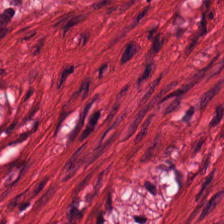H&E.
Showing smooth-muscle tissue.
